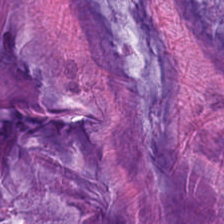Hematoxylin and eosin. The tissue here is mucin.
